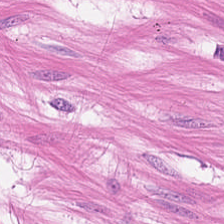H&E · 0.5 µm per pixel · FFPE tissue section.
Tissue = muscularis.
